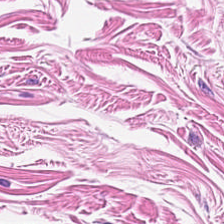H&E.
Showing smooth-muscle tissue.
